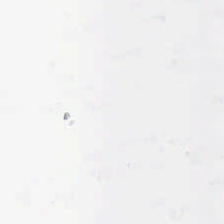Brightfield; H&E-stained tissue section. Impression → empty background.
